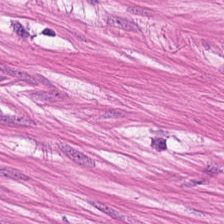Hematoxylin and eosin — Histology — muscularis.
